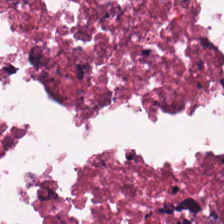H&E stain · FFPE — Showing cellular debris.
